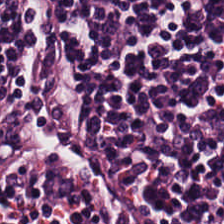H&E-stained section; the field shows lymphoid infiltrate.
